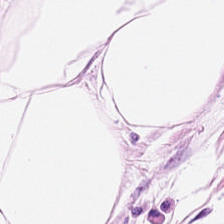FFPE tissue section; H&E-stained tissue section — This patch shows adipose.
